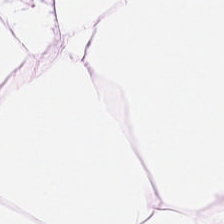Hematoxylin and eosin · 224×224 px patch. The tissue is adipose.
